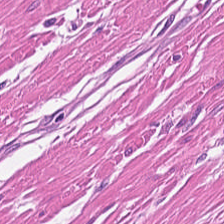This patch shows smooth-muscle tissue.
